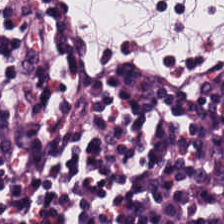WSI patch; 224×224 px patch; H&E-stained tissue section. Q: What is shown here?
A: It is lymphocytic infiltrate.
